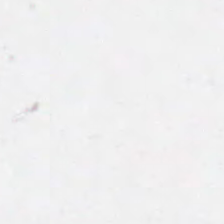Hematoxylin and eosin. Formalin-fixed paraffin-embedded section. 224×224 px patch.
Empty field — background (no tissue).
